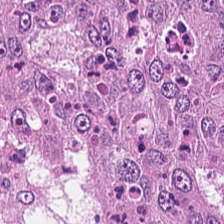Whole-slide-image patch; hematoxylin and eosin.
Tissue type: tumor epithelium.
